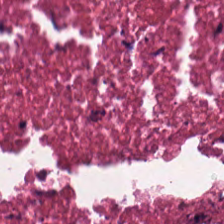Hematoxylin-and-eosin stained section.
Debris.
